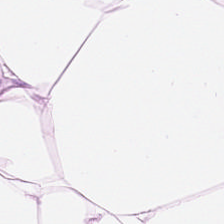Hematoxylin and eosin. FFPE — Q: Classify this patch.
A: This is fat tissue.
